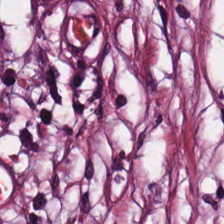H&E. Showing tumor-associated stroma.
